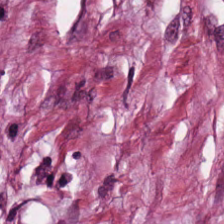H&E-stained tissue section.
Predominantly cancer-associated stroma.
